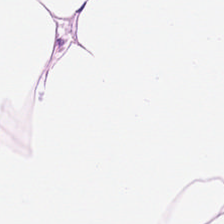H&E-stained tissue section.
Showing adipose tissue.
